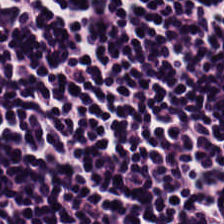Q: What does this patch show?
A: This is lymphoid infiltrate.
